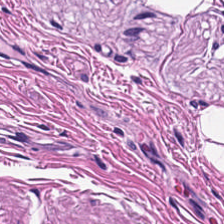Stain: H&E-stained tissue section.
Tissue: smooth muscle.
